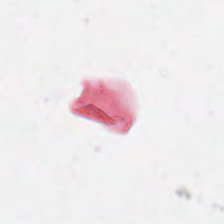Stain: H&E stain.
Acquisition: brightfield microscopy.
Classification: background.
